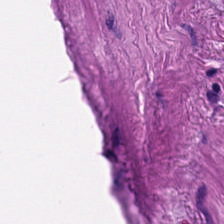H&E-stained tissue section.
Impression → smooth muscle.
